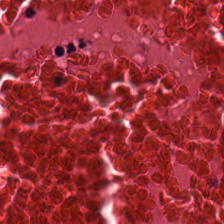H&E stain.
Tissue type = debris.
